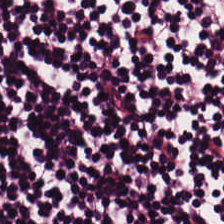H&E stain — This patch shows lymphocytes.
